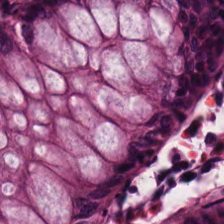Stain: hematoxylin and eosin.
Acquisition: WSI patch.
Classification: normal colon mucosa.
